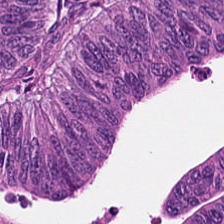Stain: H&E.
Tissue type: tumor epithelium.
